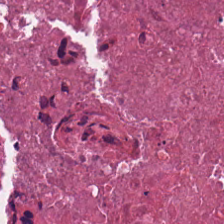Q: What tissue type is shown here?
A: Debris.
